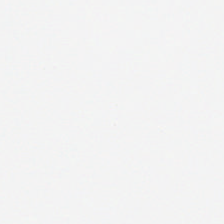This patch shows background (no tissue).
